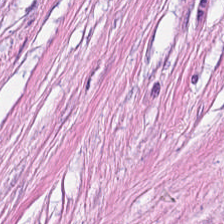224×224 pixel tile; hematoxylin-and-eosin stained section.
Predominant tissue = tumor stroma.
